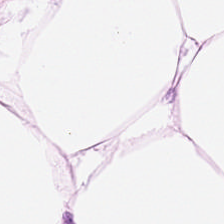Tissue class = adipose.
